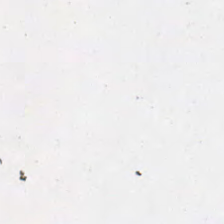Classification: background.
